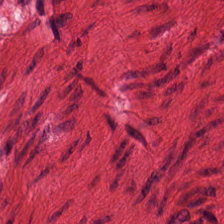Hematoxylin-and-eosin stained section · formalin-fixed paraffin-embedded section.
{"tissue_type": "smooth muscle"}
